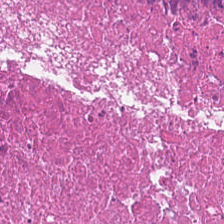Stain: hematoxylin and eosin.
Predominant tissue: necrotic debris.
